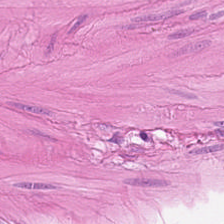WSI patch; H&E; 224×224 px patch.
Predominant tissue — muscularis.
